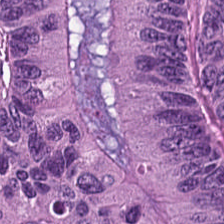H&E — The tissue here is colorectal adenocarcinoma epithelium.
